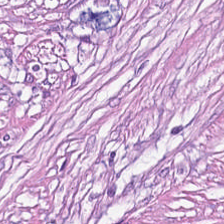Brightfield microscopy; H&E-stained tissue section — Predominantly tumor-associated stroma.
